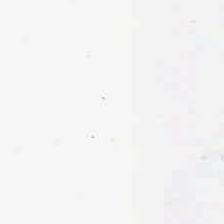Hematoxylin and eosin — Histology — empty background.
